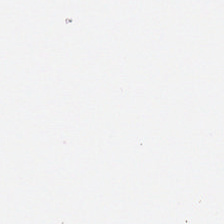H&E stain — No tissue.
